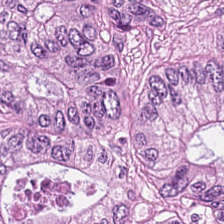H&E stain — The predominant tissue is adenocarcinoma.
